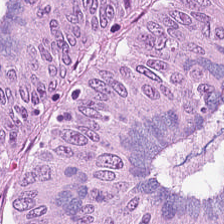FFPE tissue section · H&E stain · 0.5 µm per pixel.
The tissue here is malignant epithelium.
